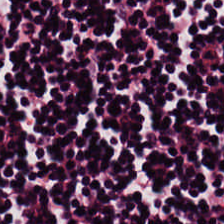Hematoxylin-and-eosin stained section.
Classification: lymphocytic infiltrate.
